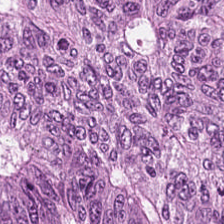H&E stain.
This field is malignant epithelium.
